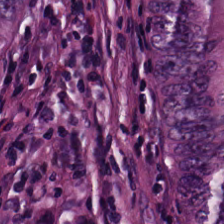H&E patch showing malignant epithelium.
